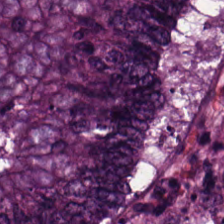Malignant epithelium.
